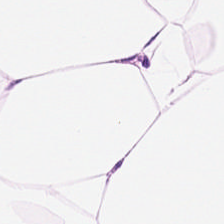Hematoxylin-and-eosin stained section · FFPE. Histology — adipose.
